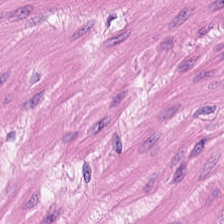Hematoxylin-and-eosin stained section · formalin-fixed paraffin-embedded section.
Impression — muscularis.
